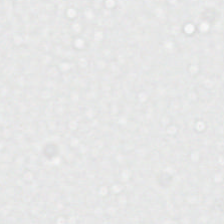Stain: H&E-stained tissue section.
Resolution: 20× equivalent magnification.
Classification: background (no tissue).
